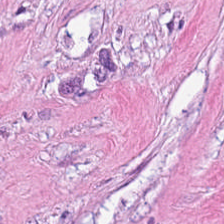Hematoxylin and eosin. Tissue type: tumor stroma.
